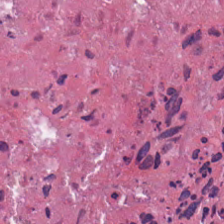The classification is debris.
